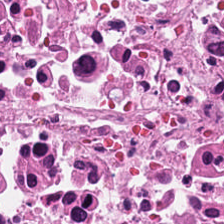H&E-stained tissue section — Q: What is the predominant tissue type?
A: It is cellular debris.
